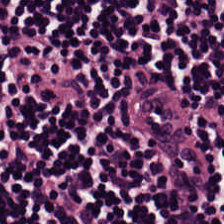This field is lymphoid infiltrate.
